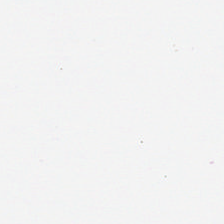224×224 pixel tile. Whole-slide-image patch. H&E-stained tissue section — Empty background.
